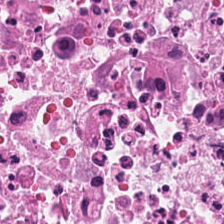H&E-stained tissue section showing cellular debris.
